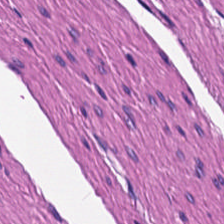WSI patch · H&E.
Finding — smooth-muscle tissue.
